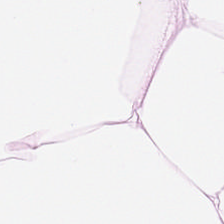H&E stain · formalin-fixed paraffin-embedded section · WSI patch.
Histology — adipocytes.
